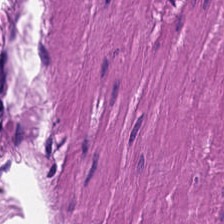H&E.
The predominant tissue is smooth-muscle tissue.
